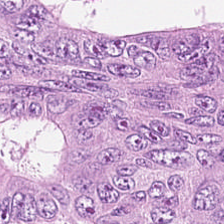20× equivalent magnification. H&E-stained tissue section. WSI patch — This patch shows tumor epithelium.
